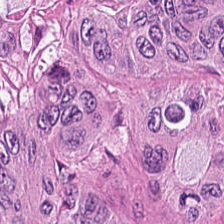Stain: hematoxylin-and-eosin stained section.
Tissue class: colorectal adenocarcinoma.
